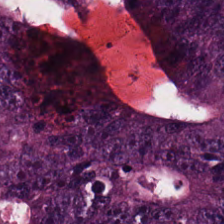Hematoxylin and eosin.
The predominant tissue is tumor epithelium.
